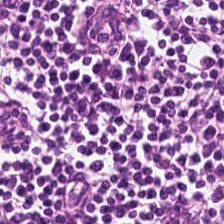Hematoxylin-and-eosin stained section · 20× equivalent magnification · formalin-fixed paraffin-embedded section — This patch shows lymphocyte aggregate.
